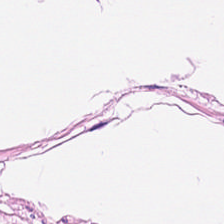Formalin-fixed paraffin-embedded section; 224×224 px tile; hematoxylin and eosin — This patch shows smooth muscle.
